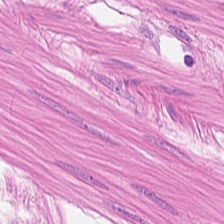The predominant tissue is smooth-muscle tissue.
